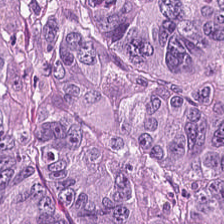FFPE tissue section. Hematoxylin-and-eosin stained section.
This patch shows tumor epithelium.
